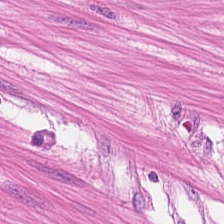Hematoxylin-and-eosin stained section — Predominantly smooth muscle.
